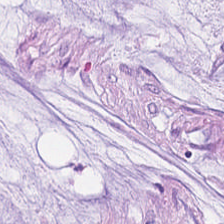Q: Classify this patch.
A: This is mucin.
